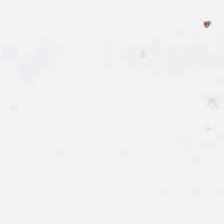0.5 microns per pixel · H&E. {"content": "background"}
